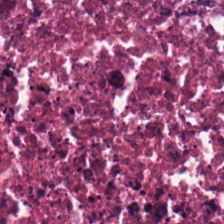Hematoxylin-and-eosin stained section.
Q: What is shown here?
A: Necrotic debris.
